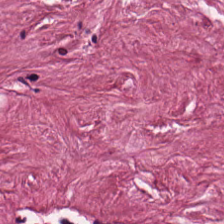Hematoxylin and eosin — Q: What does this patch show?
A: The field shows desmoplastic stroma.
